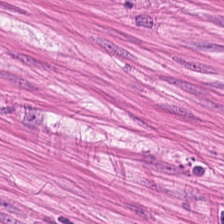H&E stain.
The predominant tissue is smooth muscle.
